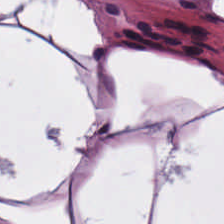H&E-stained tissue section.
Q: What does this patch show?
A: Fat tissue.
